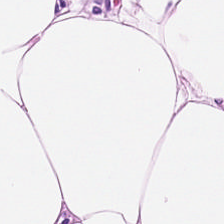Stain: H&E stain.
Classification: adipose tissue.
